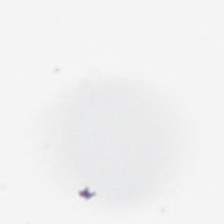Hematoxylin and eosin. Formalin-fixed paraffin-embedded section. 20× equivalent magnification.
No tissue present; background only.
